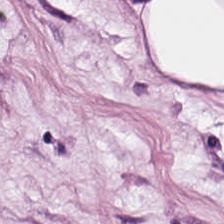Hematoxylin-and-eosin stained section.
Q: What is shown here?
A: Fat tissue.
